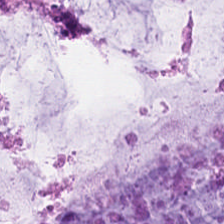Histology — mucin.
